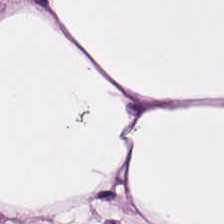Hematoxylin-and-eosin stained section. This patch shows adipose tissue.
